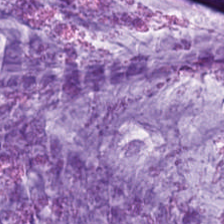224×224 px patch · FFPE tissue section · hematoxylin-and-eosin stained section — This field is mucus.
